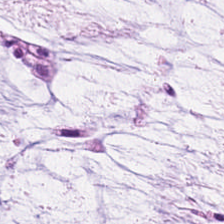Showing mucin.
